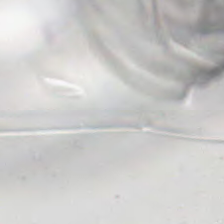0.5 µm/px; H&E-stained tissue section; brightfield microscopy — Classification = background (no tissue).
